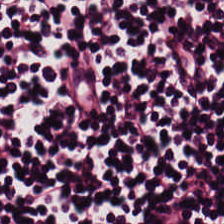H&E — Classification: lymphocytes.
